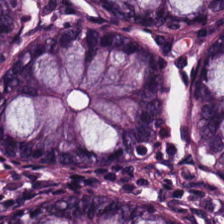Hematoxylin-and-eosin stained section. Predominantly benign colonic mucosa.
